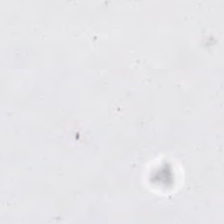H&E.
This field is background (no tissue).
